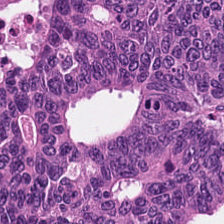H&E. Brightfield microscopy — Classification: adenocarcinoma.
